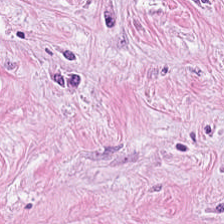Finding → tumor stroma.
